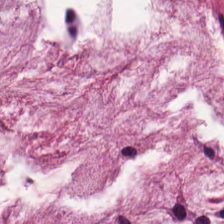0.5 µm per pixel. H&E. FFPE tissue section.
Q: What is shown in this field?
A: It is extracellular mucin.
